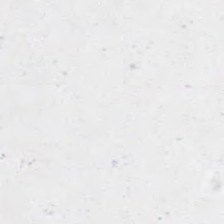H&E. Empty field — background.
